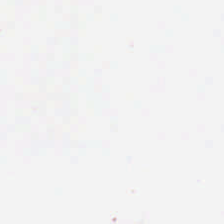H&E. 224×224 pixel tile. Classification: background (no tissue).
